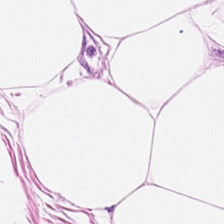Hematoxylin-and-eosin stained section; whole-slide-image patch; FFPE.
Predominantly fat tissue.
